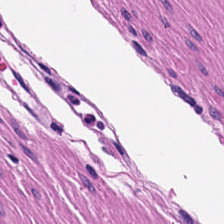H&E stain — Q: What tissue type is shown here?
A: Smooth muscle.
